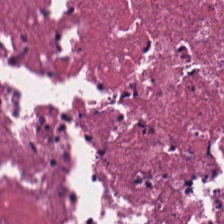Hematoxylin-and-eosin stained section; 224×224 px tile; WSI patch — The predominant tissue is debris.
